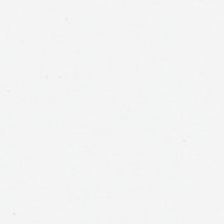H&E-stained tissue section — Background — no tissue in this field.
